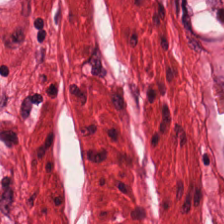H&E. Smooth-muscle tissue.
